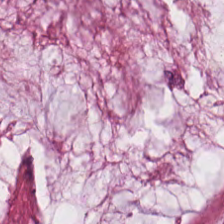Hematoxylin-and-eosin stained section. Finding → extracellular mucin.
